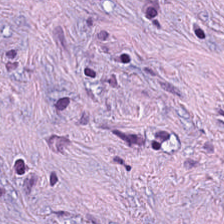Whole-slide-image patch; formalin-fixed paraffin-embedded section; H&E-stained tissue section.
Histology → desmoplastic stroma.
